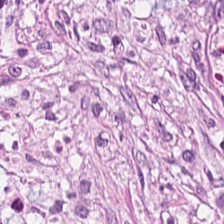H&E-stained tissue section.
Tissue type: tumor-associated stroma.
